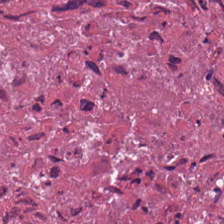Brightfield. H&E stain — {"tissue_type": "debris"}
